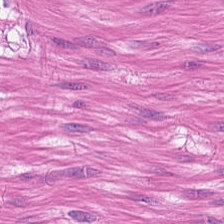H&E. {"tissue_type": "smooth muscle"}
